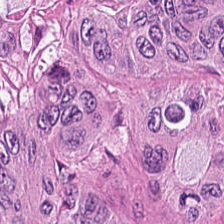Stain: H&E-stained tissue section.
Acquisition: brightfield microscopy.
Classification: colorectal adenocarcinoma.
